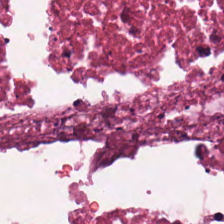H&E.
This patch shows debris.
